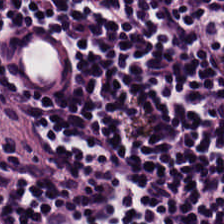Finding — lymphocyte aggregate.
